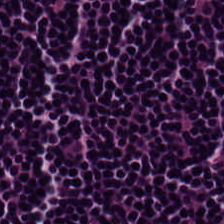H&E-stained tissue section.
This field is lymphoid infiltrate.
